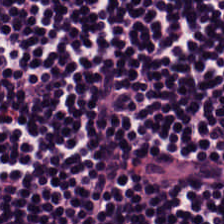Hematoxylin and eosin. The classification is lymphoid infiltrate.
